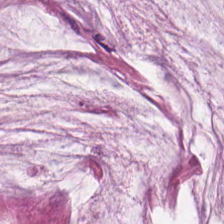{"tissue_type": "mucin"}
